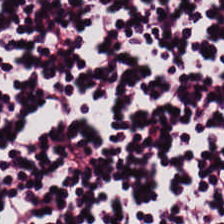Hematoxylin-and-eosin stained section.
Tissue class: lymphocytes.
